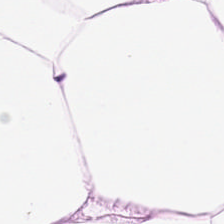Stain: hematoxylin and eosin.
Preparation: FFPE tissue section.
Classification: adipose.
